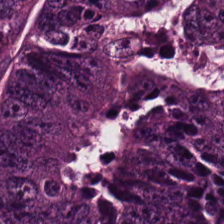Hematoxylin-and-eosin stained section. Q: What is shown in this field?
A: The field shows colorectal adenocarcinoma epithelium.
